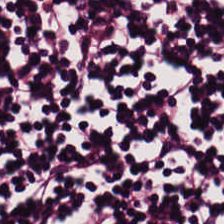Stain: hematoxylin and eosin.
Tile size: 224×224 px tile.
Tissue: lymphocyte aggregate.
